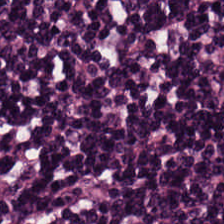{"tissue_type": "lymphoid infiltrate"}
